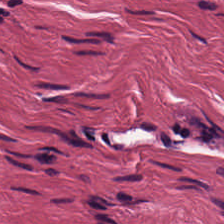Hematoxylin and eosin — Classification: desmoplastic stroma.
